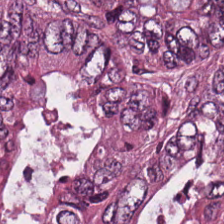224×224 pixel tile · hematoxylin and eosin · brightfield microscopy. Colorectal adenocarcinoma epithelium.
